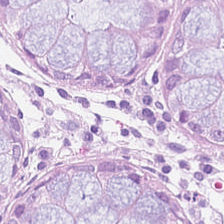H&E stain — Classification = benign colonic mucosa.
